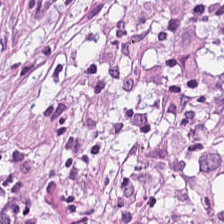Stain: H&E.
Predominant tissue: desmoplastic stroma.
